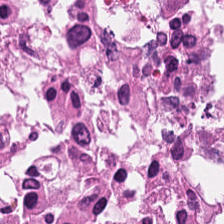H&E stain.
Histology — necrotic debris.
